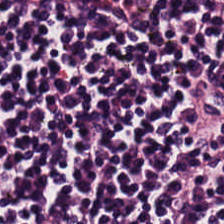H&E. Q: What tissue is shown?
A: Lymphoid infiltrate.
